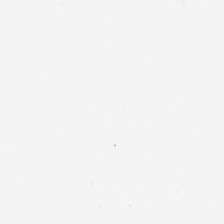Hematoxylin-and-eosin stained section · FFPE.
Finding → background (no tissue).
